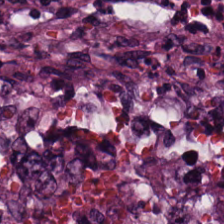Finding — tumor epithelium.
